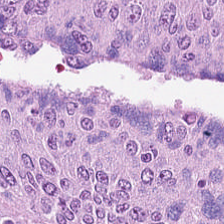0.5 µm/px. H&E-stained tissue section. Whole-slide-image patch — The tissue class is malignant epithelium.
